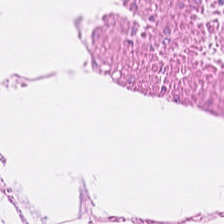H&E-stained tissue section.
Smooth-muscle tissue.
